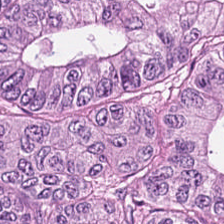224×224 px patch · H&E-stained tissue section · FFPE tissue section — Q: What does this patch show?
A: Tumor epithelium.
